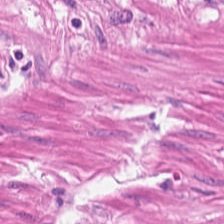H&E stain · WSI patch — Tissue = smooth muscle.
